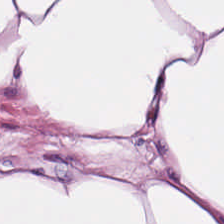H&E. 224×224 px tile. Formalin-fixed paraffin-embedded section. Tissue class: adipose tissue.
